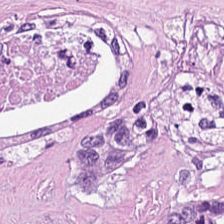H&E stain — The predominant tissue is cellular debris.
